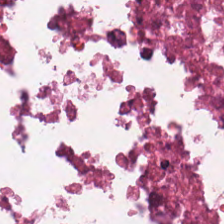The tissue class is debris.
